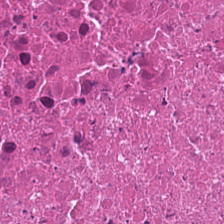H&E · 0.5 microns per pixel.
Tissue type: debris.
